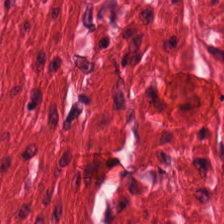Histology → muscularis.
